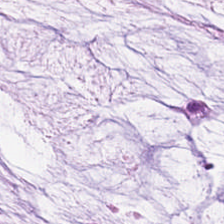Stain: H&E-stained tissue section.
Tissue class: extracellular mucin.
